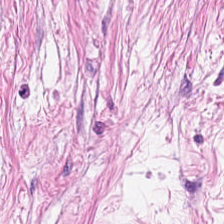Stain: H&E stain.
Tile size: 224×224 px patch.
Predominant tissue: cancer-associated stroma.
